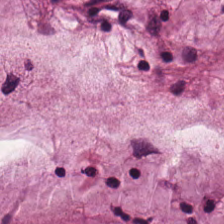The tissue here is extracellular mucin.
